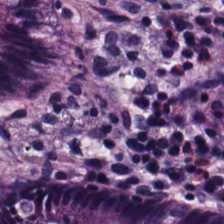Hematoxylin-and-eosin stained section — Classification = normal colonic mucosa.
